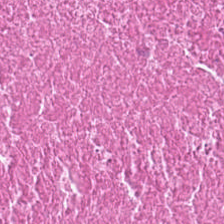H&E patch showing cellular debris.
